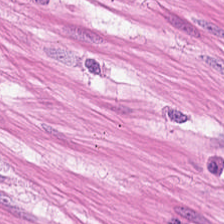{"tissue_type": "muscularis"}
